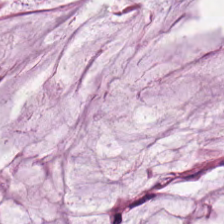H&E-stained tissue section. The tissue here is mucin.
